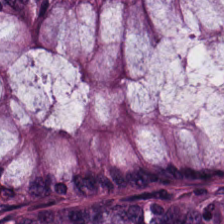Classification: benign colonic mucosa.
